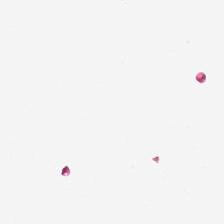Hematoxylin-and-eosin stained section.
This field is background (no tissue).
